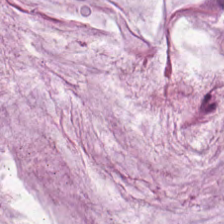This patch shows mucin.
